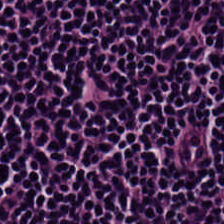Q: What does this patch show?
A: This is lymphoid infiltrate.
